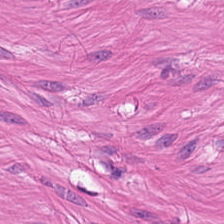H&E. The predominant tissue is muscularis.
